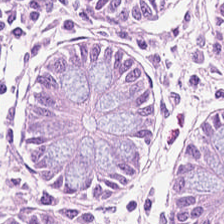H&E-stained tissue section. The tissue type is benign colonic mucosa.
